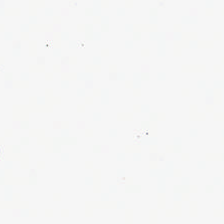Hematoxylin and eosin. This field is background (no tissue).
